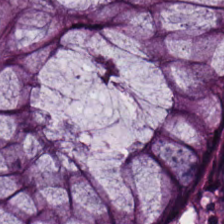H&E; whole-slide-image patch; FFPE — Histology — benign colonic mucosa.
